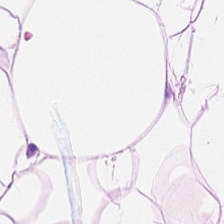Hematoxylin and eosin; WSI patch.
Adipose.
